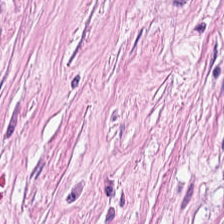20× equivalent magnification. Whole-slide-image patch. Hematoxylin-and-eosin stained section.
Q: What does this patch show?
A: Cancer-associated stroma.
